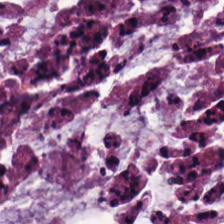H&E — mucin.
